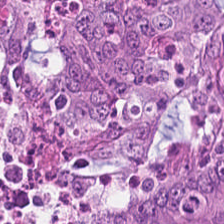Hematoxylin and eosin; 224×224 px patch — Q: What tissue type is shown here?
A: The field shows colorectal adenocarcinoma epithelium.
